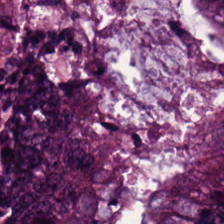Hematoxylin and eosin — Predominantly adenocarcinoma.
